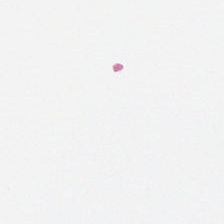Q: What does this patch show?
A: Background.
